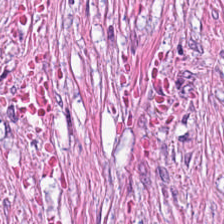Stain: hematoxylin-and-eosin stained section.
Acquisition: brightfield.
Predominant tissue: desmoplastic stroma.
